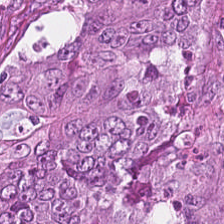This field is colorectal adenocarcinoma.
